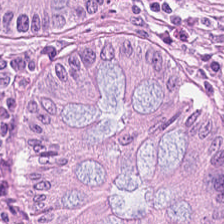H&E — This field is benign colonic mucosa.
